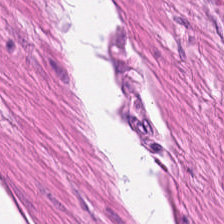Smooth muscle.
